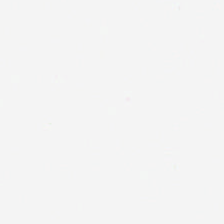Hematoxylin-and-eosin stained section. Content — background.
